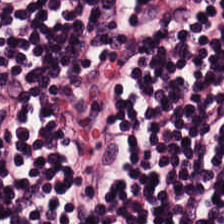Stain: hematoxylin-and-eosin stained section.
Preparation: formalin-fixed paraffin-embedded section.
Tissue type: lymphoid infiltrate.
